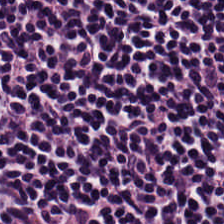H&E-stained tissue section; FFPE tissue section.
{"tissue_type": "lymphocytes"}
